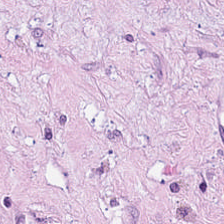H&E. 224×224 px patch. Brightfield microscopy — The tissue is tumor stroma.
